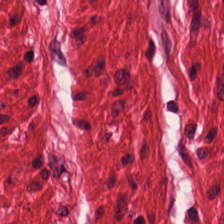Stain: H&E stain.
Preparation: FFPE.
Tissue class: smooth-muscle tissue.
